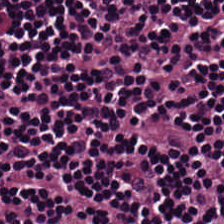Formalin-fixed paraffin-embedded section. H&E. {"tissue_type": "lymphocytic infiltrate"}
